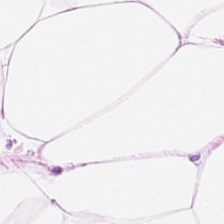H&E.
Impression — fat tissue.
